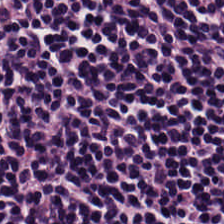H&E · 224×224 pixel tile · whole-slide-image patch.
The tissue here is lymphocytes.
